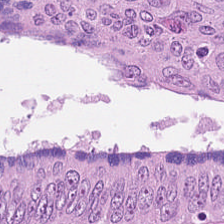H&E stain. Predominantly tumor epithelium.
